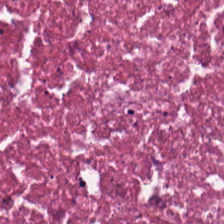Stain: H&E.
Tissue type: necrotic debris.
